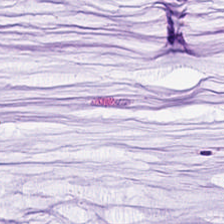Predominantly extracellular mucin.
